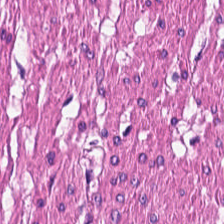This patch shows muscularis.
